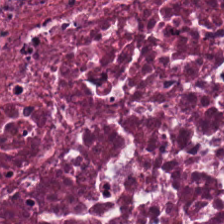Stain: hematoxylin-and-eosin stained section.
Preparation: FFPE tissue section.
Predominant tissue: debris.
